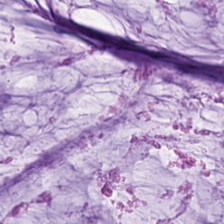{"tissue_type": "mucus"}
